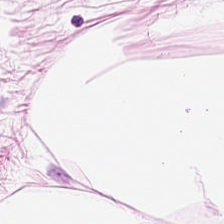20× equivalent magnification; brightfield; H&E — Tissue class: adipose.
